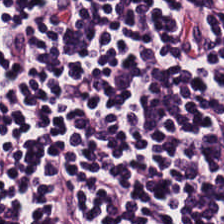H&E stain; brightfield microscopy; FFPE — The tissue here is lymphocyte aggregate.
